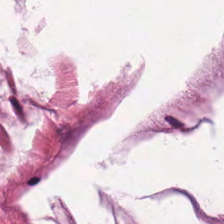H&E · FFPE.
Predominant tissue: extracellular mucin.
